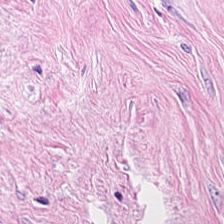Brightfield · H&E stain — The tissue class is cancer-associated stroma.
